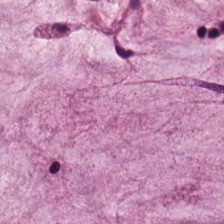The classification is extracellular mucin.
